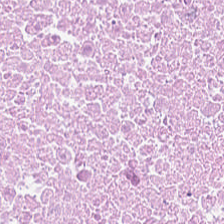Hematoxylin and eosin · 0.5 µm/px · 224×224 pixel tile.
Predominant tissue = cellular debris.
